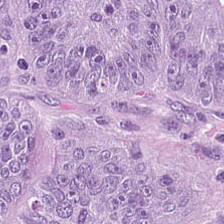H&E stain — This patch shows tumor epithelium.
